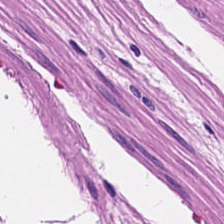This field is smooth-muscle tissue.
